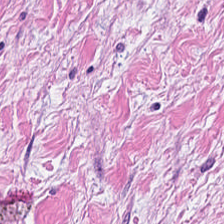This patch shows cancer-associated stroma.
